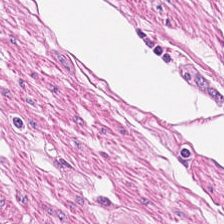FFPE; H&E; 0.5 microns per pixel — The tissue is muscularis.
